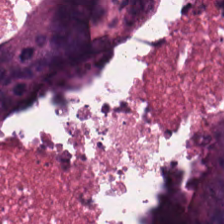Hematoxylin-and-eosin stained section; FFPE; whole-slide-image patch. Impression → cellular debris.
